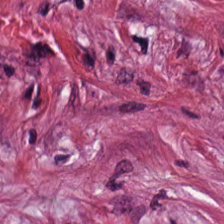Impression — cancer-associated stroma.
